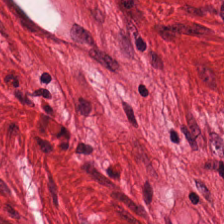H&E-stained tissue section · brightfield · 0.5 µm per pixel. Q: Identify the tissue.
A: Muscularis.
